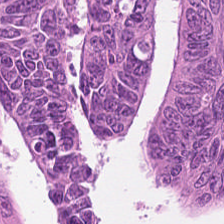Q: What is shown in this field?
A: Adenocarcinoma.
